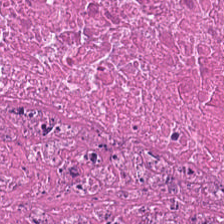Histology → debris.
